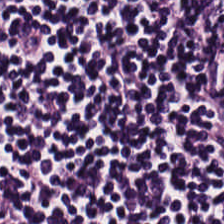0.5 microns per pixel. H&E. Finding — lymphoid infiltrate.
